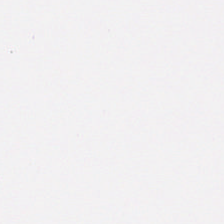H&E-stained tissue section — Smooth-muscle tissue.
